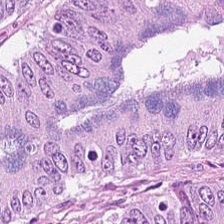H&E-stained tissue section.
Q: What is shown in this field?
A: This is tumor epithelium.
